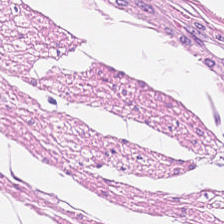224×224 px patch; H&E-stained tissue section. The tissue type is smooth muscle.
